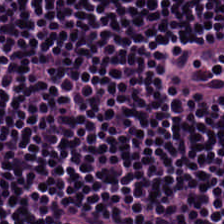Hematoxylin and eosin.
Tissue class: lymphocyte aggregate.
